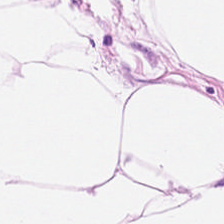H&E. Impression — fat tissue.
